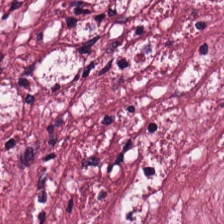H&E stain. Impression — desmoplastic stroma.
